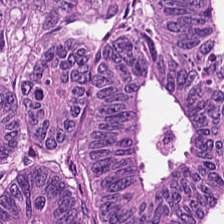H&E stain.
Impression — colorectal adenocarcinoma.
